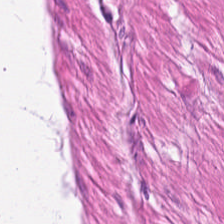Hematoxylin and eosin.
Q: What type of tissue is this?
A: Smooth muscle.
